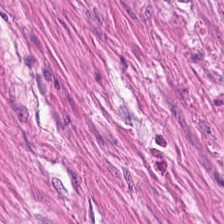WSI patch; FFPE; hematoxylin-and-eosin stained section — The tissue here is smooth muscle.
